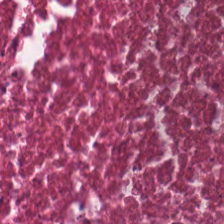Predominant tissue = debris.
